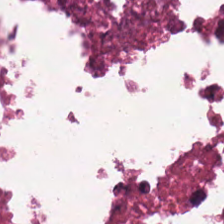Classification = cellular debris.
